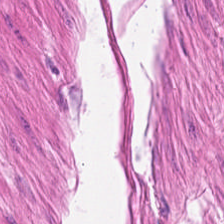Hematoxylin-and-eosin stained section.
Showing smooth muscle.
